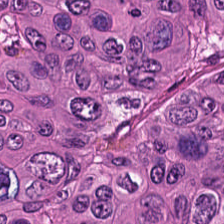0.5 µm/px. H&E stain. 224×224 pixel tile — {"tissue_type": "colorectal adenocarcinoma epithelium"}
